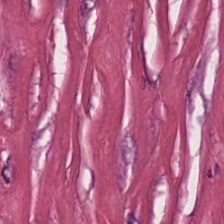This field is tumor stroma.
